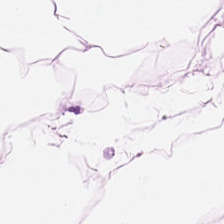H&E stain. Brightfield — Tissue — fat tissue.
